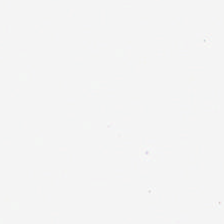Whole-slide-image patch. Hematoxylin-and-eosin stained section. 0.5 microns per pixel. Q: What is shown here?
A: The field shows background (no tissue).
